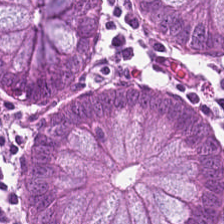Stain: hematoxylin-and-eosin stained section.
Preparation: FFPE tissue section.
Classification: normal colonic mucosa.
